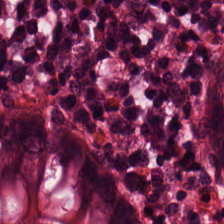224×224 px tile · hematoxylin-and-eosin stained section. Classification = non-neoplastic colon mucosa.
